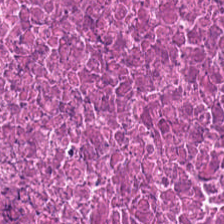Hematoxylin and eosin. Finding → cellular debris.
